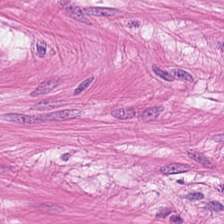0.5 µm per pixel · whole-slide-image patch · H&E stain. Tissue class: muscularis.
